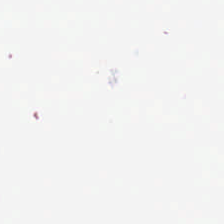Background.
